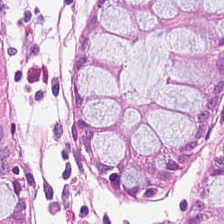Stain: H&E.
Acquisition: brightfield.
Tissue type: non-neoplastic colon mucosa.
